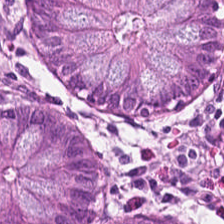Q: What does this patch show?
A: It is benign colonic mucosa.
